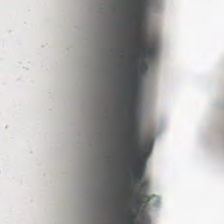H&E.
This field is background (no tissue).
